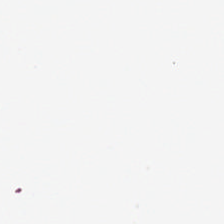Stain: hematoxylin and eosin.
Classification: background (no tissue).
